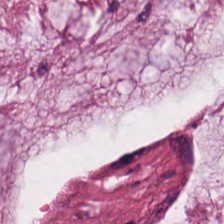Stain: H&E.
Tissue: mucus.
